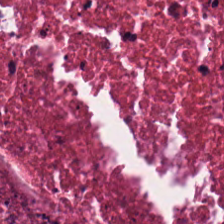Hematoxylin and eosin.
This patch shows necrotic debris.
